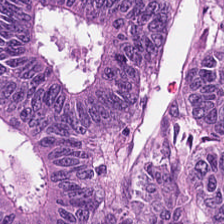H&E-stained tissue section — {"tissue_type": "malignant epithelium"}
